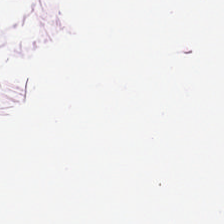H&E stain.
Adipocytes.
